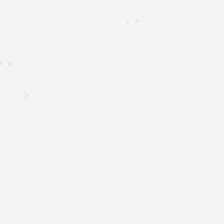Whole-slide-image patch · H&E stain · FFPE. {"content": "empty background"}
